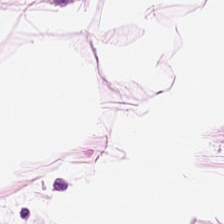Hematoxylin-and-eosin stained section — Showing adipose tissue.
